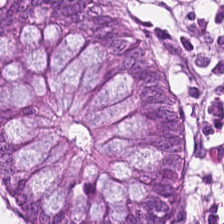FFPE tissue section; hematoxylin-and-eosin stained section — The predominant tissue is normal colon mucosa.
